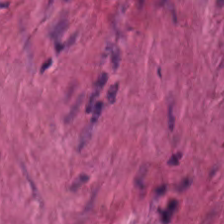Hematoxylin and eosin.
The classification is smooth-muscle tissue.
